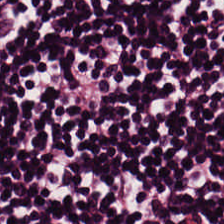Hematoxylin-and-eosin stained section. Showing lymphocyte aggregate.
